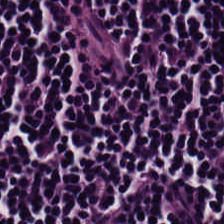Tissue type = lymphoid infiltrate.
